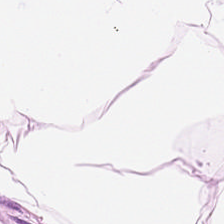This patch shows adipose.
